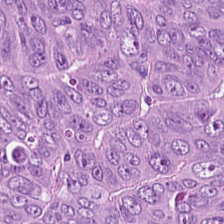Tissue type — colorectal adenocarcinoma.
